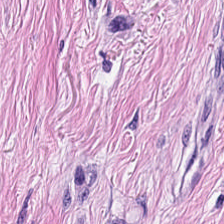Formalin-fixed paraffin-embedded section; H&E stain; whole-slide-image patch.
Impression — cancer-associated stroma.
